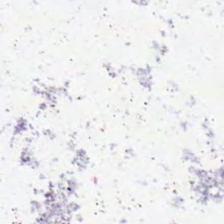H&E stain.
Field content — background.
